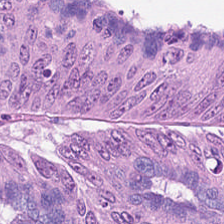H&E-stained tissue section.
Q: What does this patch show?
A: The field shows adenocarcinoma.
